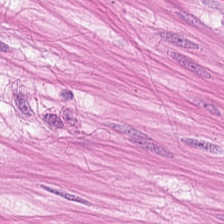Stain: H&E.
Preparation: formalin-fixed paraffin-embedded section.
Tile size: 224×224 px patch.
Tissue: muscularis.
